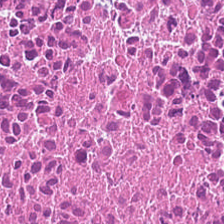Hematoxylin-and-eosin stained section.
Classification = cellular debris.
